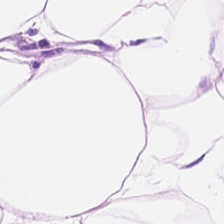Whole-slide-image patch. 20× equivalent magnification. H&E stain. Fat tissue.
